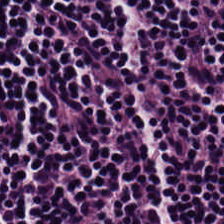The tissue here is lymphocytes.
